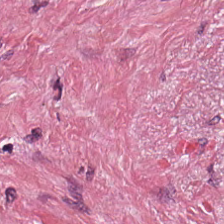FFPE tissue section · H&E stain. Q: What is the predominant tissue type?
A: This is cancer-associated stroma.
